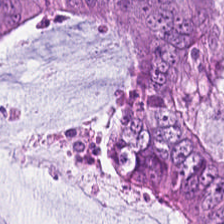H&E-stained tissue section — Q: What is the predominant tissue type?
A: This is colorectal adenocarcinoma.
